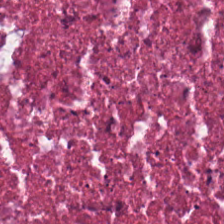The tissue is debris.
